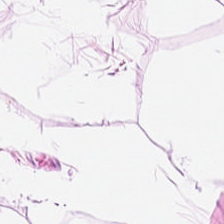Brightfield · hematoxylin-and-eosin stained section. The tissue type is adipose tissue.
